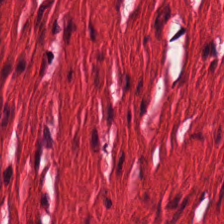Tissue type = smooth muscle.
